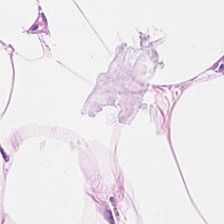Q: What does this patch show?
A: It is adipocytes.
